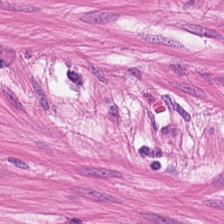20× equivalent magnification; H&E stain — The tissue type is muscularis.
